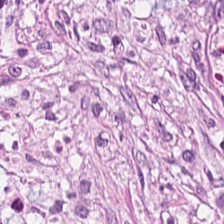This patch shows tumor stroma.
